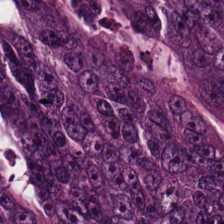Hematoxylin and eosin; FFPE tissue section.
Predominant tissue — colorectal adenocarcinoma epithelium.
